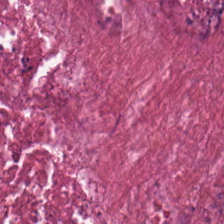H&E-stained section; the field shows cellular debris.
